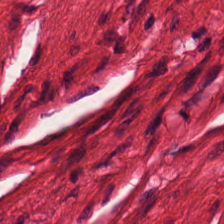H&E. Q: What tissue is shown?
A: The field shows smooth-muscle tissue.
